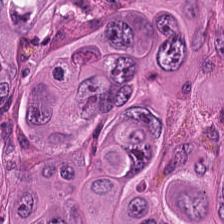224×224 px tile. FFPE tissue section. H&E-stained tissue section — This patch shows colorectal adenocarcinoma epithelium.
